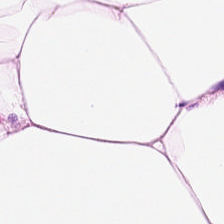H&E stain; 20× equivalent magnification.
Predominantly fat tissue.
